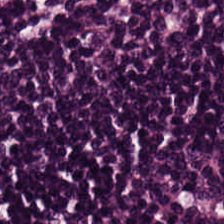H&E stain — This field is lymphocyte aggregate.
